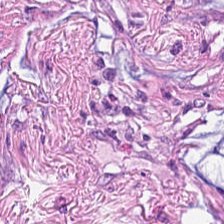Hematoxylin and eosin — Q: Identify the tissue.
A: The field shows tumor-associated stroma.
